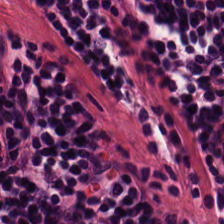H&E — The tissue here is lymphocytes.
